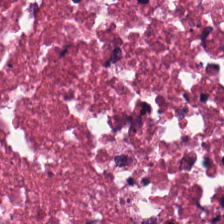H&E-stained tissue section. 0.5 microns per pixel. Q: Identify the tissue.
A: This is necrotic debris.
